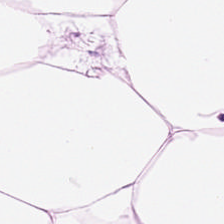H&E — Q: What tissue is shown?
A: This is adipose.
